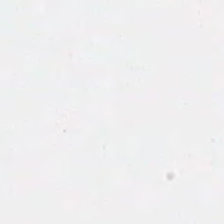H&E. 20× equivalent magnification. Q: What is shown in this field?
A: This is empty background.
